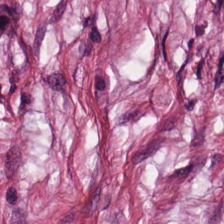Whole-slide-image patch. 20× equivalent magnification. Hematoxylin-and-eosin stained section. Predominantly cancer-associated stroma.
